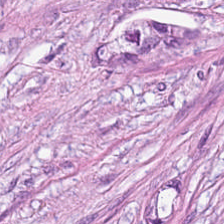Q: Identify the tissue.
A: The field shows cancer-associated stroma.
